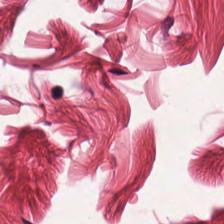H&E-stained tissue section. The predominant tissue is muscularis.
